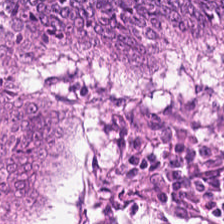H&E-stained tissue section · 224×224 px tile.
This field is tumor epithelium.
